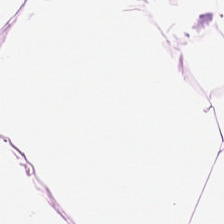H&E; 20× equivalent magnification. This field is fat tissue.
